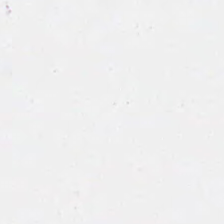This field is background (no tissue).
